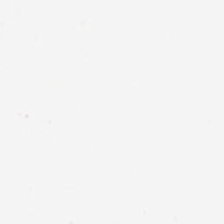This patch shows background.
